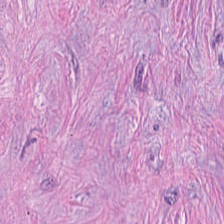224×224 px tile · H&E-stained tissue section · FFPE — Predominant tissue = desmoplastic stroma.
